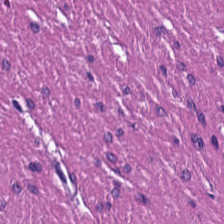Stain: H&E.
Resolution: 0.5 µm/px.
Tile size: 224×224 px tile.
Tissue type: muscularis.
